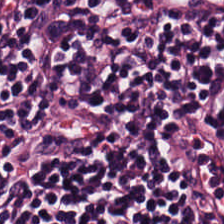H&E stain; 0.5 microns per pixel; 224×224 pixel tile. The predominant tissue is lymphocyte aggregate.
